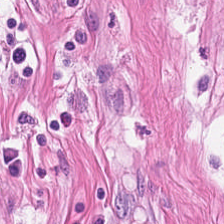H&E stain. 224×224 px patch. Formalin-fixed paraffin-embedded section. Predominant tissue = smooth-muscle tissue.
